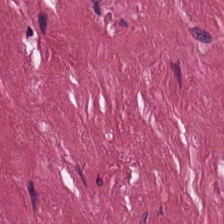H&E-stained section; the field shows tumor stroma.
